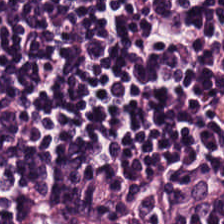Hematoxylin and eosin. Impression → lymphoid infiltrate.
